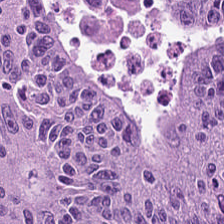0.5 microns per pixel · H&E stain · WSI patch — Tissue class — adenocarcinoma.
